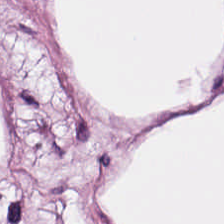Impression — adipose.
